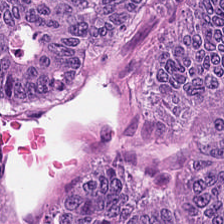Hematoxylin and eosin — Predominantly malignant epithelium.
